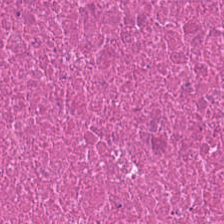Whole-slide-image patch. H&E-stained tissue section. 224×224 px tile — Tissue type — cellular debris.
